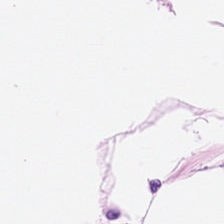Formalin-fixed paraffin-embedded section. Hematoxylin and eosin — Q: What is shown in this field?
A: The field shows adipose.
